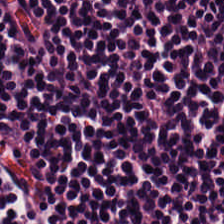224×224 pixel tile; H&E.
Tissue type — lymphocytes.
